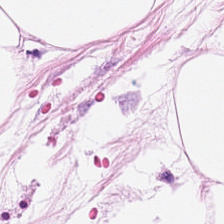H&E stain — {"tissue_type": "adipocytes"}
